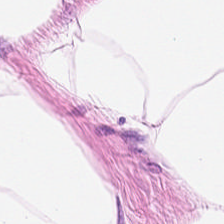Hematoxylin and eosin; 224×224 px patch. Q: What is shown here?
A: Adipocytes.
